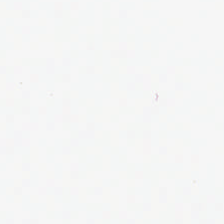No tissue present; background only.
